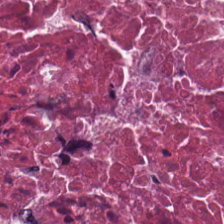Tissue type = cellular debris.
